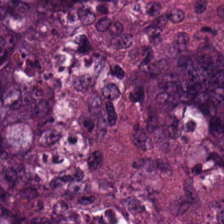H&E-stained tissue section.
Q: Identify the tissue.
A: The field shows colorectal adenocarcinoma.
